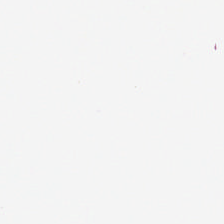Background — no tissue in this field.
